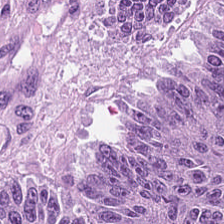H&E. Histology — adenocarcinoma.
